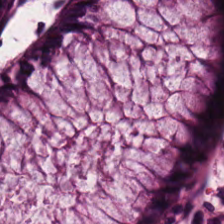Brightfield microscopy; H&E stain — Predominantly benign colonic mucosa.
